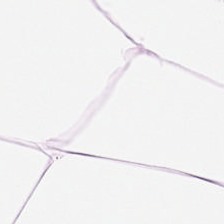0.5 µm per pixel · brightfield microscopy · H&E — This patch shows fat tissue.
